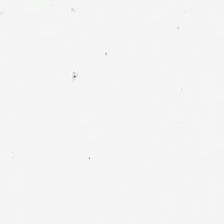Brightfield · H&E-stained tissue section · 224×224 px patch. The content is no tissue.
